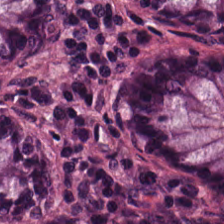Stain: H&E.
Acquisition: brightfield microscopy.
Classification: benign colonic mucosa.
